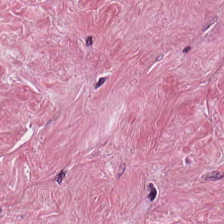H&E; formalin-fixed paraffin-embedded section.
Histology — tumor-associated stroma.
